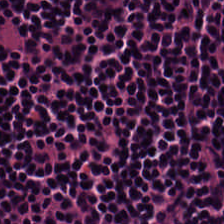Stain: hematoxylin and eosin.
Classification: lymphocytic infiltrate.
